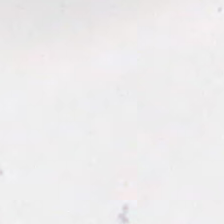Hematoxylin and eosin. No tissue present; background only.
